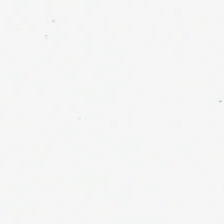Hematoxylin and eosin · 224×224 px tile.
Q: What does this patch show?
A: Background (no tissue).
